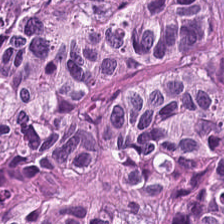Q: What tissue type is shown here?
A: This is colorectal adenocarcinoma epithelium.
